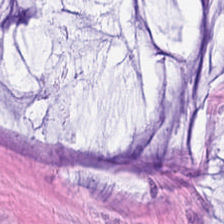Tissue type: extracellular mucin.
